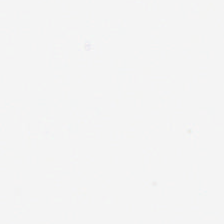Stain: hematoxylin-and-eosin stained section.
Content: no tissue.
